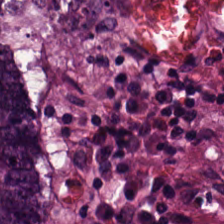Hematoxylin-and-eosin stained section — Q: What is shown in this field?
A: This is colorectal adenocarcinoma epithelium.
